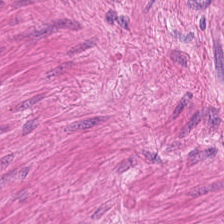H&E-stained tissue section — Tissue — smooth-muscle tissue.
